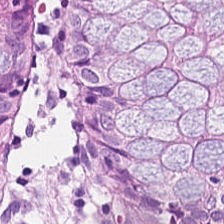Stain: hematoxylin-and-eosin stained section.
Classification: benign colonic mucosa.
